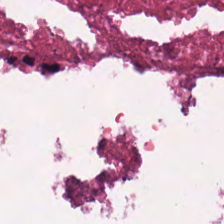Hematoxylin and eosin. This field is necrotic debris.
